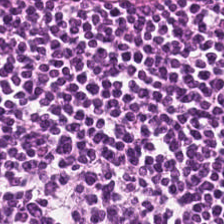Hematoxylin and eosin. Predominantly lymphoid infiltrate.
